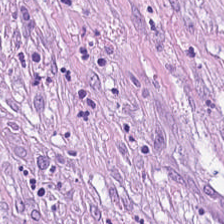H&E-stained tissue section.
Histology — desmoplastic stroma.
